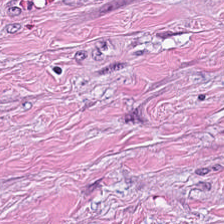The tissue type is tumor-associated stroma.
